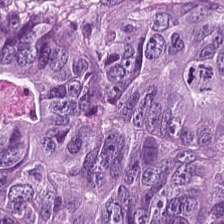Hematoxylin and eosin — The predominant tissue is colorectal adenocarcinoma.
